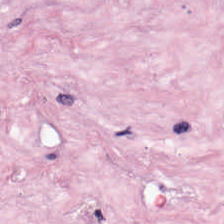Brightfield. 0.5 µm/px. Hematoxylin-and-eosin stained section — The predominant tissue is cancer-associated stroma.
